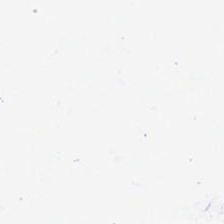Stain: H&E stain.
Classification: no tissue.
